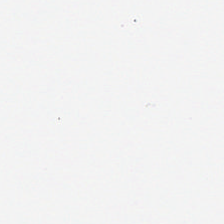H&E-stained tissue section · 20× equivalent magnification · brightfield microscopy — Q: What is shown in this field?
A: This is background (no tissue).
